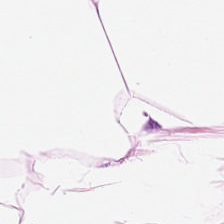H&E-stained tissue section — Predominantly fat tissue.
